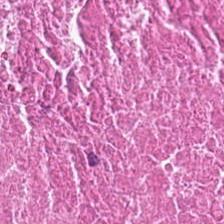H&E — The predominant tissue is cellular debris.
